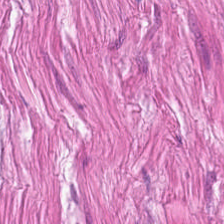H&E stain; 0.5 microns per pixel; 224×224 pixel tile.
Histology — smooth-muscle tissue.
